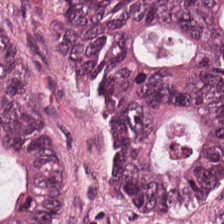Formalin-fixed paraffin-embedded section; H&E stain; WSI patch — This field is colorectal adenocarcinoma.
